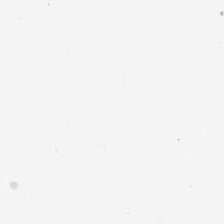224×224 px tile; hematoxylin-and-eosin stained section; 20× equivalent magnification — Background (no tissue).
